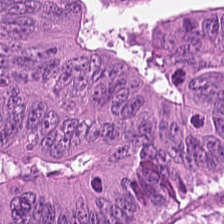{"tissue_type": "malignant epithelium"}
